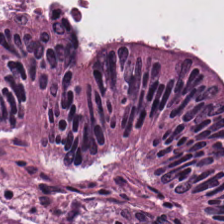224×224 px patch; 20× equivalent magnification; hematoxylin and eosin.
Impression — tumor epithelium.
